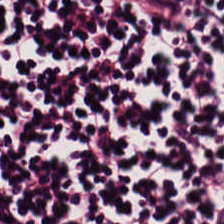H&E-stained tissue section. Whole-slide-image patch. This field is lymphocytes.
